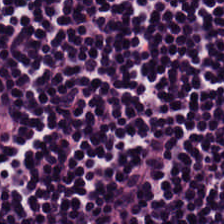Stain: hematoxylin and eosin.
Classification: lymphoid infiltrate.
